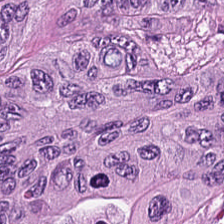H&E stain — Showing colorectal adenocarcinoma epithelium.
